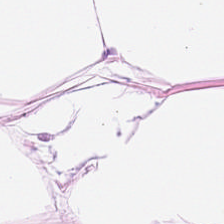Hematoxylin-and-eosin stained section. Fat tissue.
